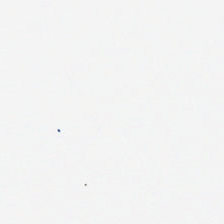Hematoxylin and eosin. Content = no tissue.
